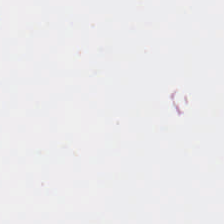Whole-slide-image patch. H&E-stained tissue section — The field content is background (no tissue).
